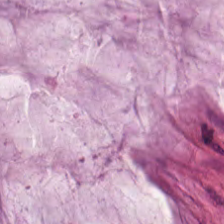The predominant tissue is mucin.
